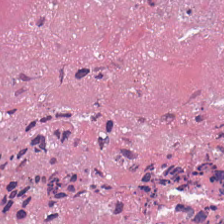Hematoxylin-and-eosin stained section.
This patch shows debris.
